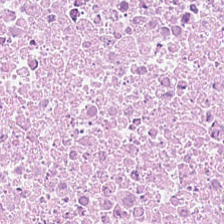This field is debris.
